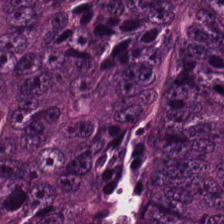Tissue type = tumor epithelium.
